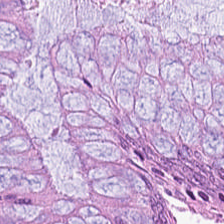Whole-slide-image patch · formalin-fixed paraffin-embedded section · hematoxylin-and-eosin stained section.
Histology — benign colonic mucosa.
